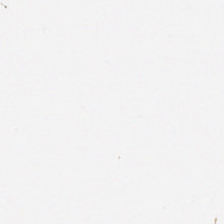Hematoxylin-and-eosin stained section.
This patch shows background (no tissue).
